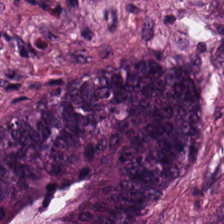Stain: hematoxylin and eosin.
Preparation: formalin-fixed paraffin-embedded section.
Tissue type: colorectal adenocarcinoma epithelium.
